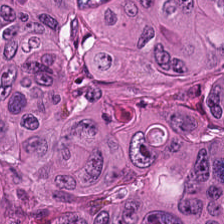H&E-stained tissue section — Finding — colorectal adenocarcinoma.
